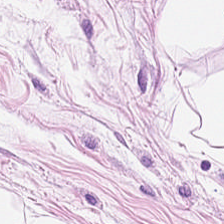Hematoxylin-and-eosin stained section · brightfield — This patch shows adipocytes.
